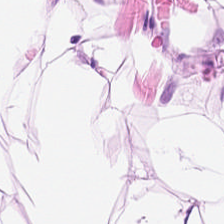Hematoxylin and eosin — Q: What is the predominant tissue type?
A: It is adipose.
